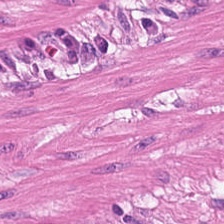Hematoxylin and eosin. Finding — smooth muscle.
